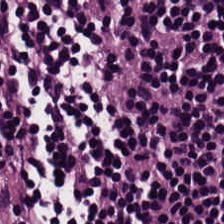Stain: hematoxylin-and-eosin stained section.
Tissue: lymphocytic infiltrate.
